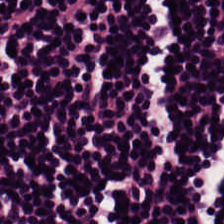H&E. Showing lymphocytes.
